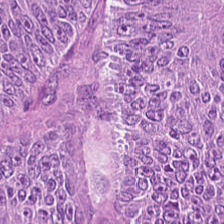H&E.
Q: What is shown here?
A: The field shows tumor epithelium.
